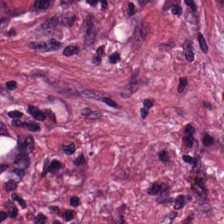Impression → tumor stroma.
